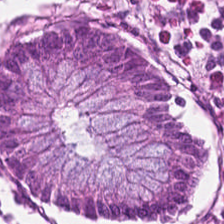224×224 px patch. Formalin-fixed paraffin-embedded section. H&E stain — Normal colonic mucosa.
